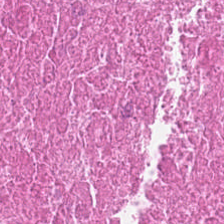Hematoxylin and eosin. Q: What does this patch show?
A: The field shows necrotic debris.
